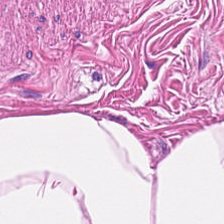Formalin-fixed paraffin-embedded section · H&E stain · 224×224 px patch.
Impression → muscularis.
